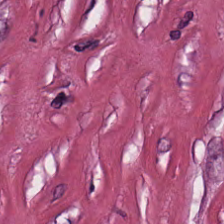224×224 pixel tile. H&E-stained tissue section. Tissue — tumor-associated stroma.
